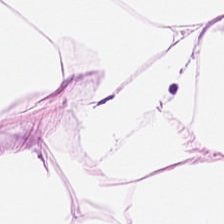Hematoxylin and eosin · FFPE tissue section. Q: What is shown here?
A: Adipocytes.
